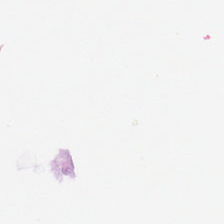Content = no tissue.
